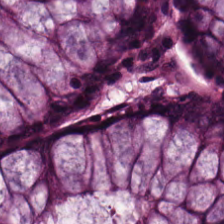Stain: hematoxylin-and-eosin stained section.
Tile size: 224×224 px patch.
Predominant tissue: normal colonic mucosa.
